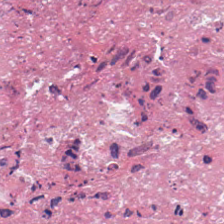Brightfield · hematoxylin-and-eosin stained section · FFPE — Necrotic debris.
